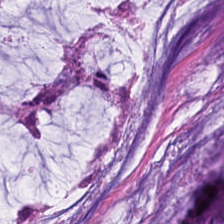H&E — mucus.
